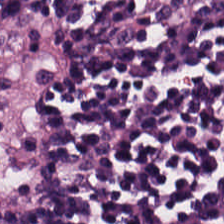H&E. Q: Identify the tissue.
A: This is lymphoid infiltrate.
